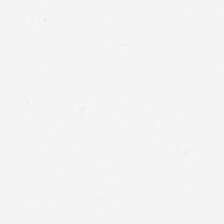0.5 µm per pixel; H&E. No tissue.
